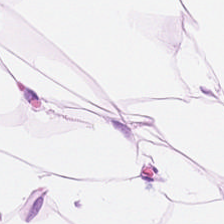224×224 px patch; H&E; FFPE tissue section — The classification is adipocytes.
